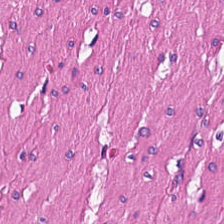Hematoxylin-and-eosin stained section. This field is muscularis.
